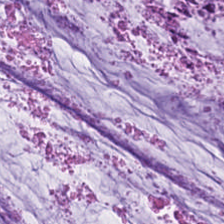H&E. The predominant tissue is mucus.
